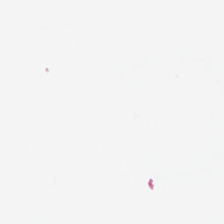0.5 µm per pixel. Hematoxylin-and-eosin stained section.
Q: Classify this patch.
A: It is background (no tissue).
